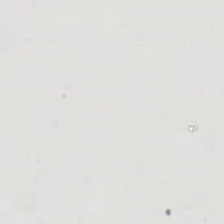Hematoxylin-and-eosin stained section. Q: What is shown in this field?
A: This is background (no tissue).
